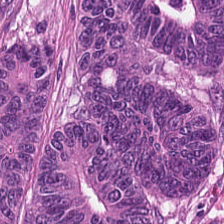Stain: H&E.
Tissue: adenocarcinoma.
